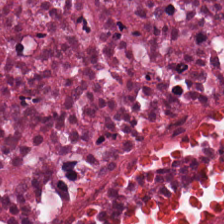Hematoxylin-and-eosin stained section; formalin-fixed paraffin-embedded section — {"tissue_type": "cellular debris"}
